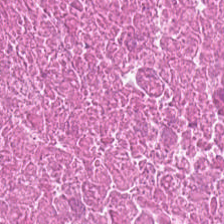Hematoxylin and eosin. Formalin-fixed paraffin-embedded section.
Q: What tissue type is shown here?
A: Necrotic debris.
